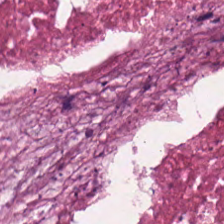Finding → necrotic debris.
